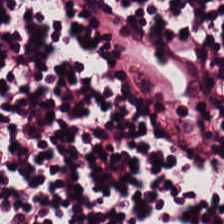20× equivalent magnification. 224×224 px patch. H&E — The tissue here is lymphocyte aggregate.
